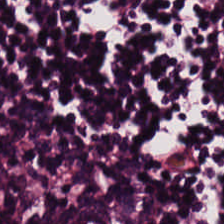Histology → lymphocytic infiltrate.
